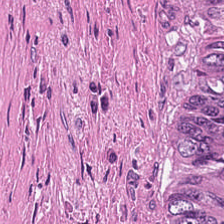Hematoxylin-and-eosin stained section — The tissue type is cellular debris.
